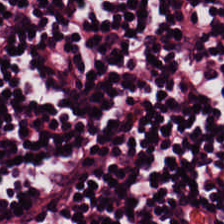Hematoxylin and eosin · brightfield — Impression → lymphoid infiltrate.
